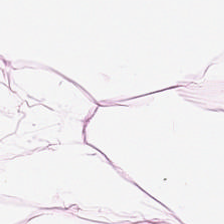H&E; FFPE tissue section.
This field is adipose tissue.
